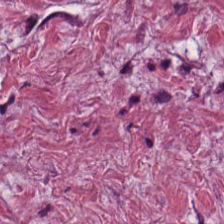H&E · brightfield.
Finding → desmoplastic stroma.
